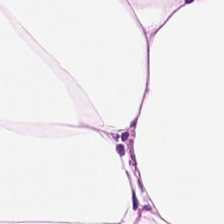Hematoxylin and eosin. Formalin-fixed paraffin-embedded section — Histology → adipocytes.
